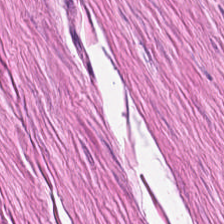Hematoxylin and eosin; 0.5 µm/px.
{"tissue_type": "muscularis"}
